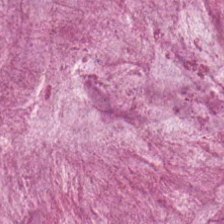Showing mucus.
